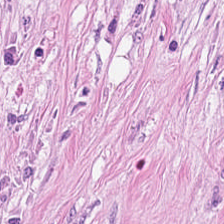Hematoxylin and eosin; 224×224 pixel tile.
This field is cancer-associated stroma.
